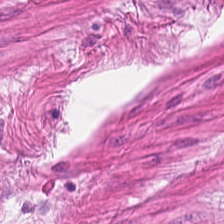H&E-stained tissue section.
Tissue — smooth muscle.
